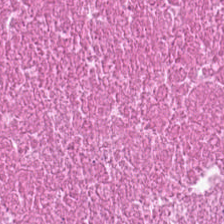Stain: hematoxylin-and-eosin stained section.
Preparation: formalin-fixed paraffin-embedded section.
Acquisition: brightfield.
Tissue: cellular debris.
